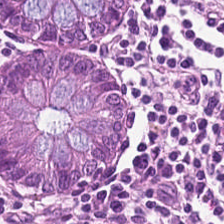Stain: H&E stain.
Classification: non-neoplastic colon mucosa.
